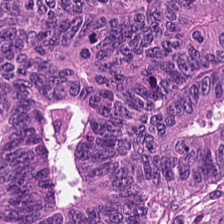H&E stain. Predominantly adenocarcinoma.
